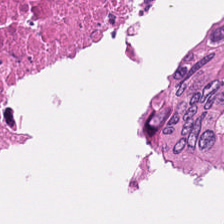Hematoxylin-and-eosin stained section.
Q: What type of tissue is this?
A: Debris.
